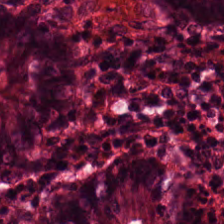H&E-stained tissue section.
Predominantly non-neoplastic colon mucosa.
